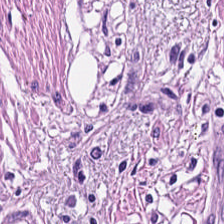Hematoxylin-and-eosin stained section. Predominant tissue: smooth-muscle tissue.
